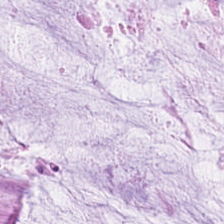The tissue here is extracellular mucin.
